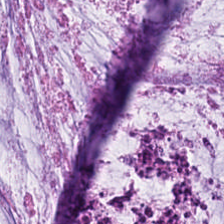Hematoxylin-and-eosin stained section — This patch shows extracellular mucin.
